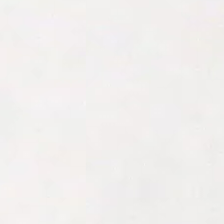WSI patch; hematoxylin-and-eosin stained section. No tissue present; background only.
